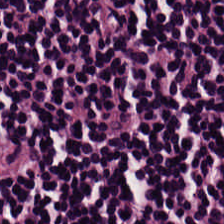H&E stain — Finding — lymphoid infiltrate.
